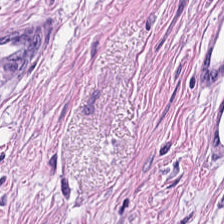Hematoxylin and eosin — Q: Identify the tissue.
A: The field shows muscularis.
